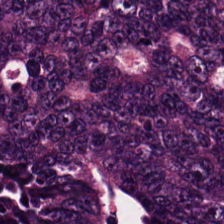This patch shows malignant epithelium.
